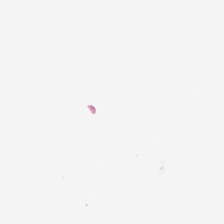The classification is no tissue.
